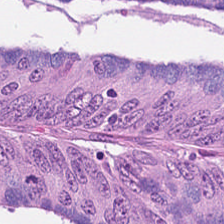H&E stain. 224×224 px patch. The predominant tissue is colorectal adenocarcinoma.
